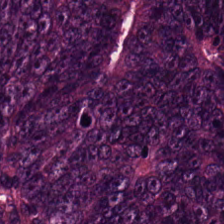Hematoxylin and eosin; 224×224 pixel tile. Tissue: tumor epithelium.
